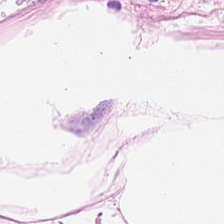Hematoxylin-and-eosin stained section. Q: What does this patch show?
A: This is adipocytes.
